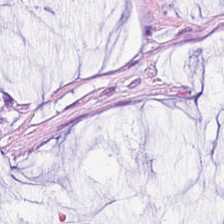224×224 px tile. Hematoxylin-and-eosin stained section — Q: What type of tissue is this?
A: It is mucus.
